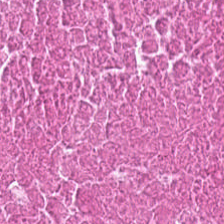H&E — necrotic debris.
